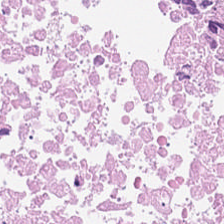H&E-stained tissue section.
Q: What does this patch show?
A: This is cellular debris.
